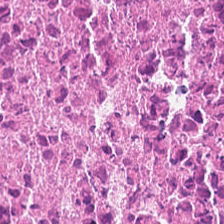Finding → necrotic debris.
